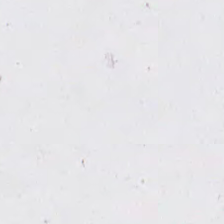H&E. Content = empty background.
